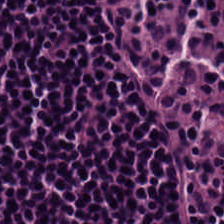WSI patch. Hematoxylin-and-eosin stained section. 224×224 px tile.
The predominant tissue is lymphocytic infiltrate.
